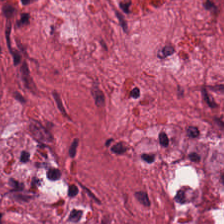H&E stain · FFPE tissue section · 224×224 px tile.
Q: What type of tissue is this?
A: It is cancer-associated stroma.
